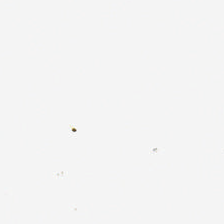Hematoxylin-and-eosin stained section.
Background (no tissue).
